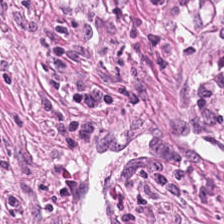Hematoxylin-and-eosin stained section · WSI patch · 224×224 px patch.
The predominant tissue is tumor-associated stroma.
